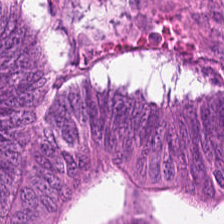H&E. 0.5 µm/px.
Tissue — colorectal adenocarcinoma epithelium.
